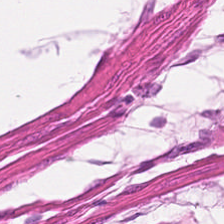H&E — Finding → muscularis.
